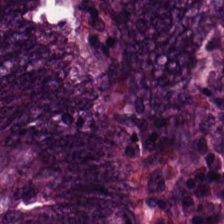The tissue here is malignant epithelium.
